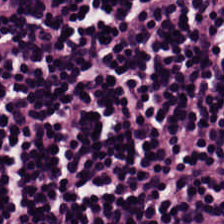H&E — Lymphocyte aggregate.
